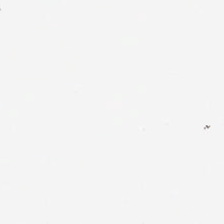Brightfield. H&E-stained tissue section — Q: What is shown in this field?
A: This is empty background.
